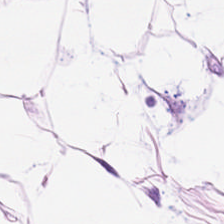0.5 µm/px. H&E.
Impression → adipose.
